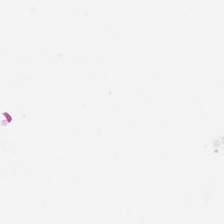No tissue present; background only.
